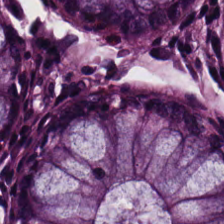Hematoxylin and eosin. Q: What type of tissue is this?
A: Benign colonic mucosa.
